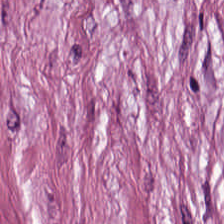Hematoxylin-and-eosin stained section. 20× equivalent magnification. Histology — desmoplastic stroma.
